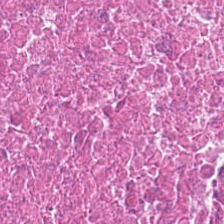H&E stain.
Impression → debris.
